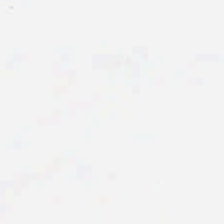This patch shows background.
